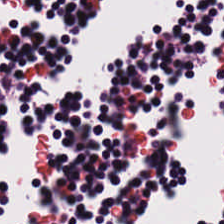Hematoxylin and eosin; brightfield; 224×224 px tile — Classification — lymphocytic infiltrate.
